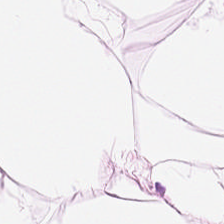Tissue class: fat tissue.
